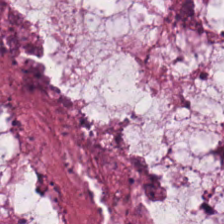Hematoxylin-and-eosin stained section.
The tissue here is extracellular mucin.
